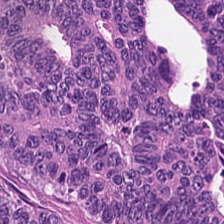Hematoxylin-and-eosin stained section; 0.5 µm/px; 224×224 px patch.
Q: What is the predominant tissue type?
A: Colorectal adenocarcinoma.
